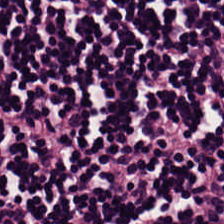Impression — lymphocytes.
